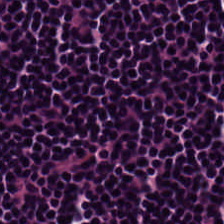H&E. Showing lymphocytes.
